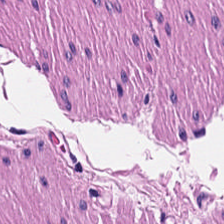Hematoxylin and eosin. Predominantly smooth-muscle tissue.
